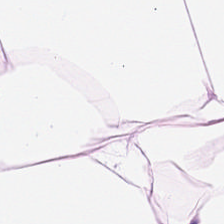Whole-slide-image patch. H&E. Q: What tissue type is shown here?
A: The field shows adipocytes.
